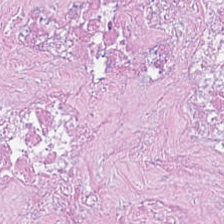H&E. 224×224 pixel tile.
Predominantly debris.
